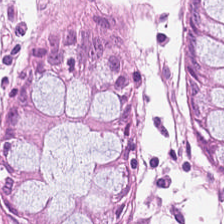H&E stain — The predominant tissue is normal colon mucosa.
